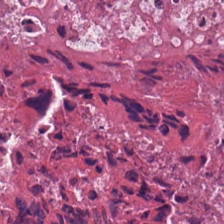Hematoxylin and eosin.
Finding → cellular debris.
